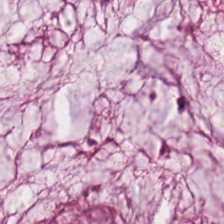Brightfield microscopy; H&E-stained tissue section; 224×224 px patch. Classification = mucin.
